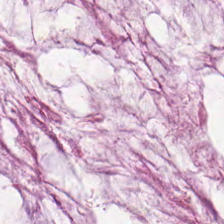Stain: hematoxylin-and-eosin stained section.
Tissue type: extracellular mucin.
